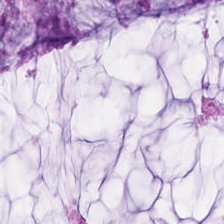H&E-stained tissue section — Q: What is shown here?
A: This is extracellular mucin.
